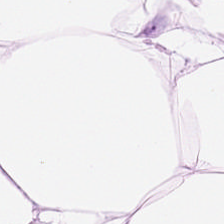20× equivalent magnification. H&E. 224×224 px patch. Q: What is shown in this field?
A: The field shows adipocytes.
